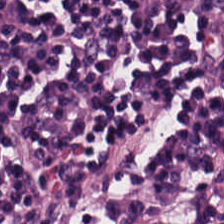H&E-stained tissue section; brightfield; 224×224 pixel tile — Showing lymphocytic infiltrate.
